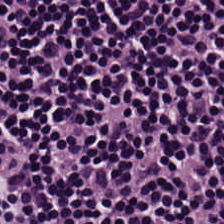H&E-stained tissue section.
Tissue type — lymphocytic infiltrate.
